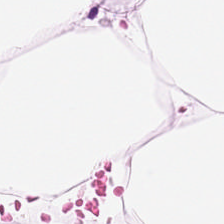H&E stain. Predominant tissue: adipocytes.
